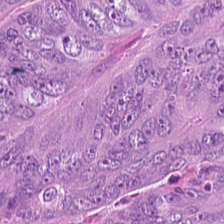Predominant tissue = tumor epithelium.
